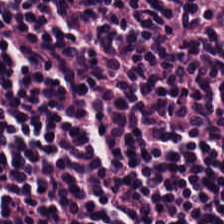H&E stain — Q: Identify the tissue.
A: Lymphoid infiltrate.
